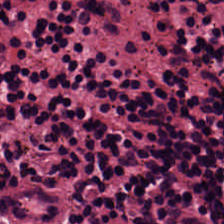Impression — lymphocytic infiltrate.
